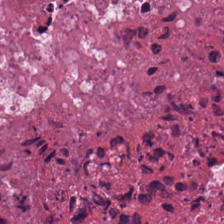Stain: H&E.
Resolution: 20× equivalent magnification.
Predominant tissue: necrotic debris.
